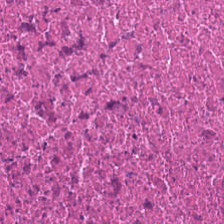Hematoxylin-and-eosin stained section — This field is cellular debris.
